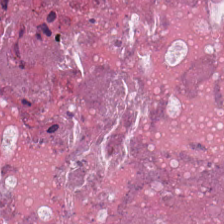Stain: H&E-stained tissue section.
Resolution: 20× equivalent magnification.
Tile size: 224×224 px tile.
Tissue: necrotic debris.
